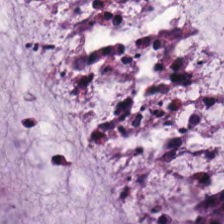H&E. 0.5 microns per pixel. Formalin-fixed paraffin-embedded section.
Q: Identify the tissue.
A: This is mucus.
